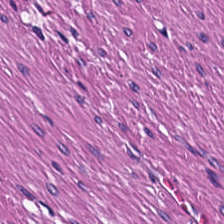Classification — smooth-muscle tissue.
